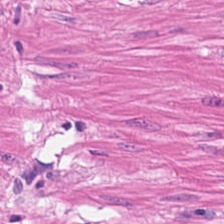H&E stain — Showing smooth muscle.
